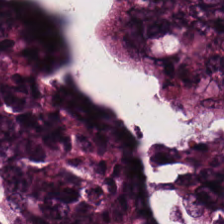Q: What tissue is shown?
A: Colorectal adenocarcinoma epithelium.
